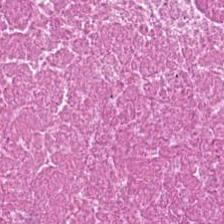0.5 µm per pixel. H&E. Brightfield — {"tissue_type": "cellular debris"}
